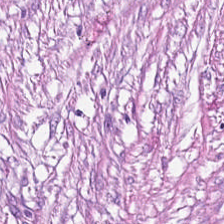Hematoxylin and eosin · FFPE — The predominant tissue is tumor stroma.
